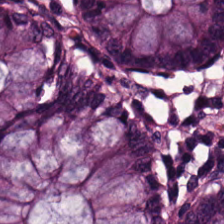H&E stain — Normal colonic mucosa.
